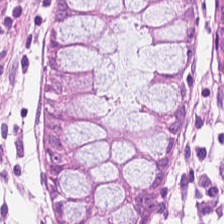224×224 pixel tile · H&E. This field is normal colon mucosa.
